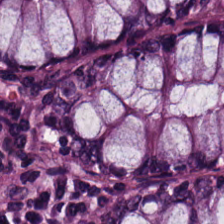Hematoxylin-and-eosin stained section. Tissue — non-neoplastic colon mucosa.
